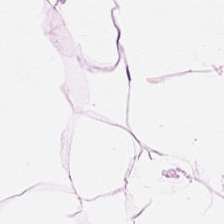Predominant tissue — adipocytes.
